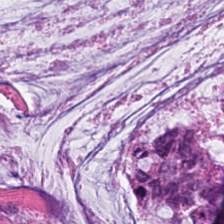224×224 pixel tile; H&E; 0.5 microns per pixel. Showing mucus.
